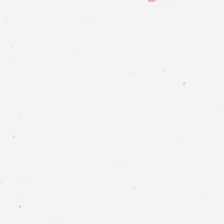224×224 px tile · hematoxylin and eosin · 0.5 microns per pixel.
Classification: background (no tissue).
